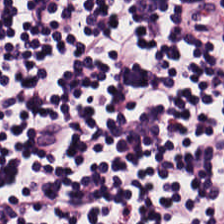Whole-slide-image patch · 0.5 µm per pixel · H&E-stained tissue section — Predominant tissue: lymphocytes.
